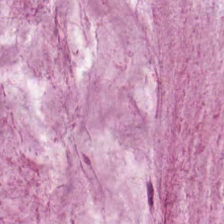Stain: hematoxylin and eosin.
Tile size: 224×224 pixel tile.
Resolution: 0.5 µm/px.
Predominant tissue: mucin.
